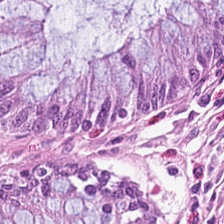H&E-stained tissue section. WSI patch. 0.5 µm per pixel — Q: What type of tissue is this?
A: Non-neoplastic colon mucosa.
